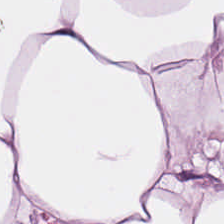{"tissue_type": "adipose"}
